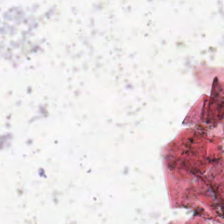FFPE. Hematoxylin and eosin — Q: What is shown here?
A: Background.
